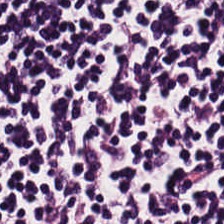The predominant tissue is lymphocytic infiltrate.
